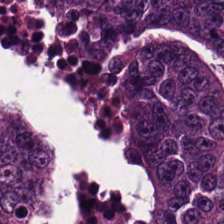Hematoxylin-and-eosin stained section · FFPE · 0.5 µm/px — Tissue = malignant epithelium.
